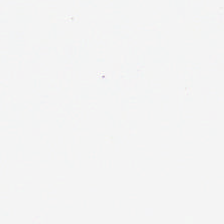No tissue present; background only.
